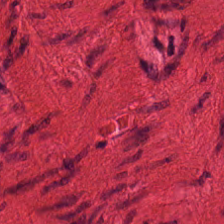Brightfield. FFPE tissue section. H&E — This field is smooth muscle.
